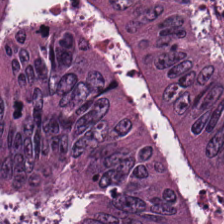H&E — Impression — tumor epithelium.
